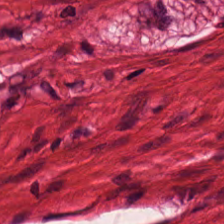Hematoxylin and eosin. Q: What does this patch show?
A: This is smooth-muscle tissue.
